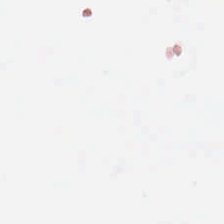224×224 px tile; whole-slide-image patch; hematoxylin-and-eosin stained section — The field content is no tissue.
